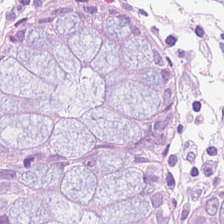{"tissue_type": "non-neoplastic colon mucosa"}
